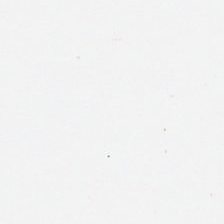H&E.
Empty background.
